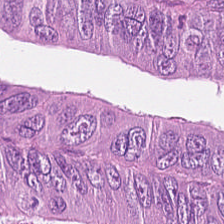Tissue type — adenocarcinoma.
